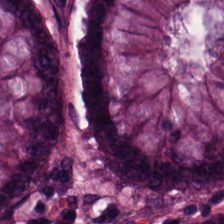Hematoxylin-and-eosin stained section.
Predominantly non-neoplastic colon mucosa.
